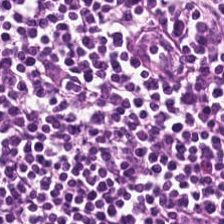H&E. Whole-slide-image patch.
Q: Identify the tissue.
A: It is lymphoid infiltrate.
